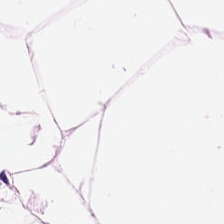Classification = adipose.
